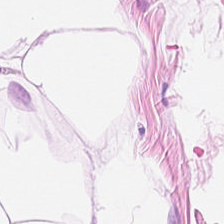The tissue class is adipocytes.
